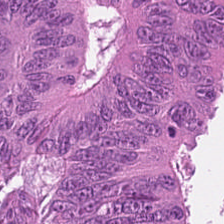FFPE; H&E stain; whole-slide-image patch.
Tissue type — colorectal adenocarcinoma epithelium.
